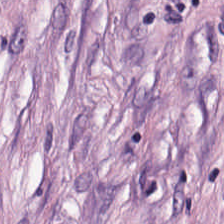H&E; 224×224 px patch — Q: What is shown in this field?
A: It is tumor stroma.
